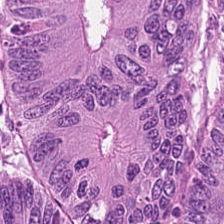Hematoxylin-and-eosin stained section — Tissue = adenocarcinoma.
